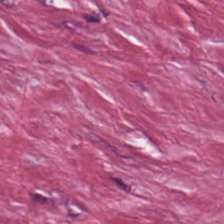H&E-stained tissue section. 20× equivalent magnification. {"tissue_type": "cancer-associated stroma"}
